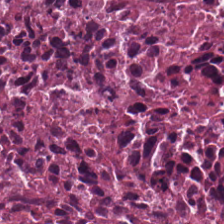Stain: hematoxylin-and-eosin stained section.
Tissue type: cellular debris.
